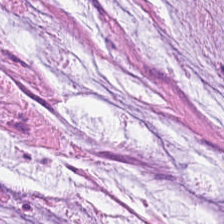Stain: hematoxylin-and-eosin stained section.
Predominant tissue: mucus.
